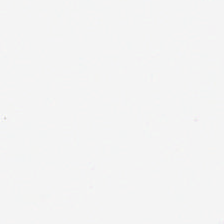Finding — background.
